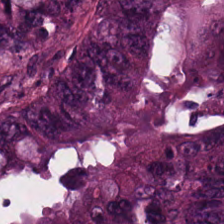H&E stain. 0.5 µm per pixel. The tissue is malignant epithelium.
